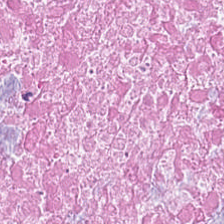Hematoxylin and eosin; FFPE tissue section — Necrotic debris.
